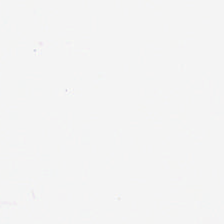Brightfield microscopy. FFPE tissue section. Hematoxylin-and-eosin stained section. Field content = background (no tissue).
